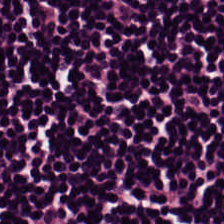Lymphocytes.
